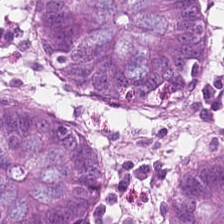224×224 px patch. FFPE. Hematoxylin-and-eosin stained section. Finding — benign colonic mucosa.
